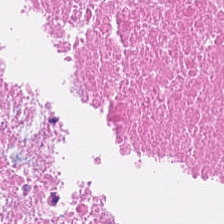H&E-stained tissue section — Q: Identify the tissue.
A: The field shows debris.
